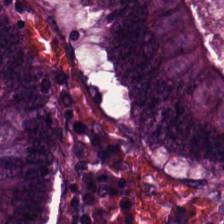Predominant tissue — adenocarcinoma.
